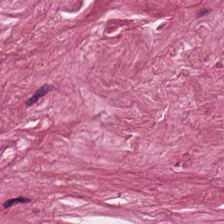H&E-stained tissue section; 0.5 microns per pixel. Tissue type: cancer-associated stroma.
